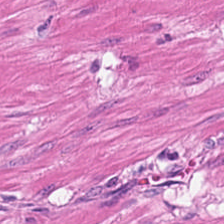Finding → smooth muscle.
